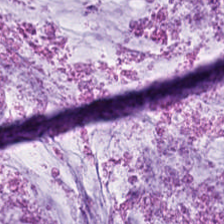Hematoxylin and eosin — Tissue class: mucus.
